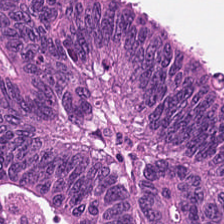Stain: hematoxylin-and-eosin stained section.
Tissue type: malignant epithelium.
